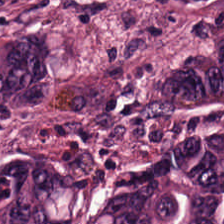Q: Classify this patch.
A: Malignant epithelium.
